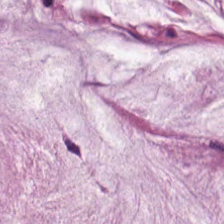Formalin-fixed paraffin-embedded section; 20× equivalent magnification; H&E-stained tissue section — Mucus.
